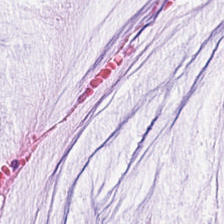H&E-stained tissue section. Tissue class — mucus.
